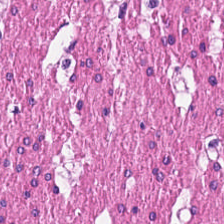H&E-stained tissue section; 224×224 pixel tile — Classification — smooth-muscle tissue.
